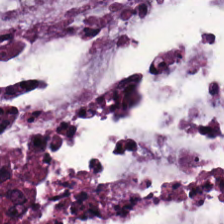H&E stain · 20× equivalent magnification — Finding → mucus.
